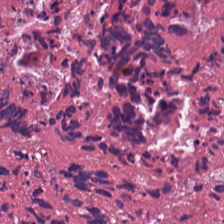Q: What tissue is shown?
A: It is cellular debris.
